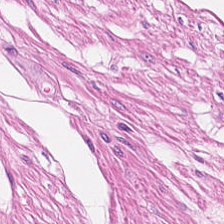0.5 µm per pixel; hematoxylin and eosin — Smooth muscle.
